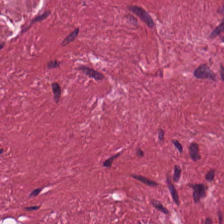Hematoxylin and eosin — This patch shows tumor stroma.
